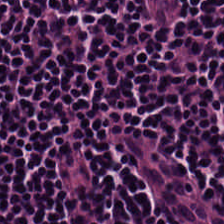224×224 px tile; hematoxylin-and-eosin stained section. Showing lymphocytes.
